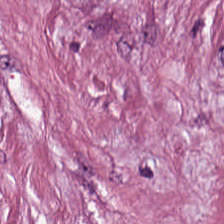H&E · 20× equivalent magnification · FFPE — This field is desmoplastic stroma.
